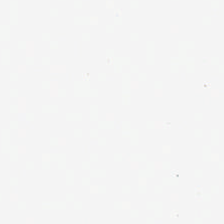Hematoxylin-and-eosin stained section. Q: What does this patch show?
A: It is empty background.
